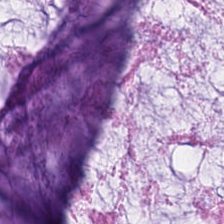Hematoxylin-and-eosin stained section.
The predominant tissue is mucus.
